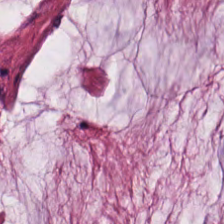Stain: hematoxylin and eosin.
Acquisition: WSI patch.
Tissue class: mucin.
